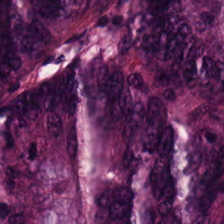224×224 px patch; hematoxylin-and-eosin stained section; whole-slide-image patch.
This patch shows colorectal adenocarcinoma epithelium.
